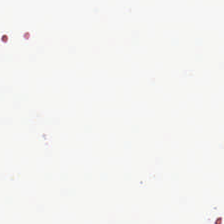Stain: hematoxylin and eosin.
Acquisition: whole-slide-image patch.
Resolution: 20× equivalent magnification.
Field content: background.
